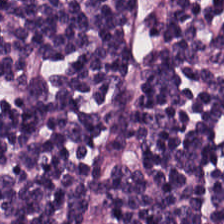Brightfield · hematoxylin-and-eosin stained section — Q: What does this patch show?
A: It is lymphoid infiltrate.
